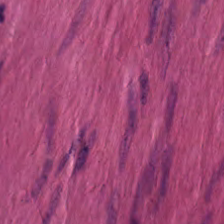H&E stain; 224×224 pixel tile.
Impression → smooth muscle.
